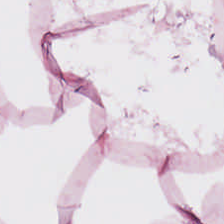This field is adipose tissue.
